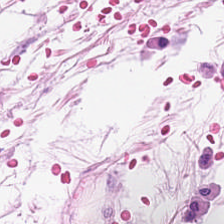H&E stain. 224×224 pixel tile. Brightfield microscopy. This patch shows adipose tissue.
